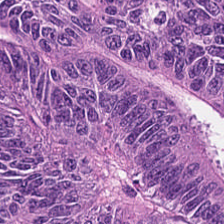Q: What is shown here?
A: The field shows colorectal adenocarcinoma epithelium.
